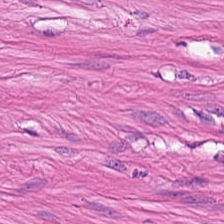Hematoxylin-and-eosin stained section — Predominant tissue = smooth muscle.
